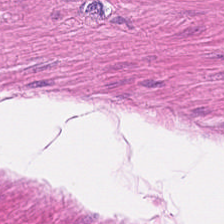WSI patch · 224×224 pixel tile · hematoxylin and eosin. This patch shows muscularis.
